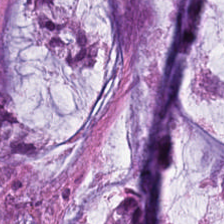Hematoxylin and eosin — Q: What is the predominant tissue type?
A: It is mucus.
